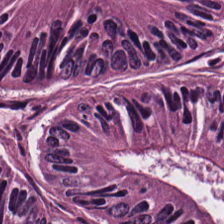H&E — colorectal adenocarcinoma.
